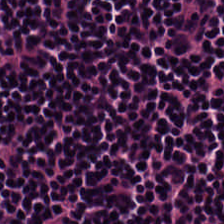Hematoxylin-and-eosin stained section.
This field is lymphoid infiltrate.
